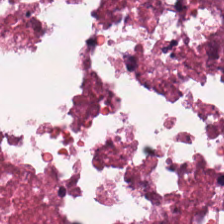224×224 px patch; H&E — Predominantly debris.
